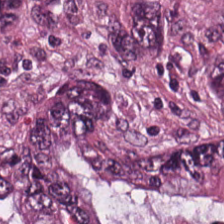H&E · 0.5 µm/px · formalin-fixed paraffin-embedded section.
Predominantly adenocarcinoma.
